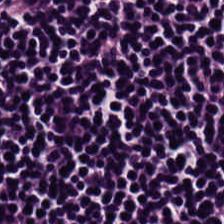Hematoxylin-and-eosin stained section.
The tissue here is lymphoid infiltrate.
